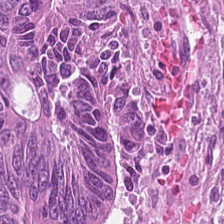H&E-stained tissue section · FFPE tissue section.
Showing tumor epithelium.
